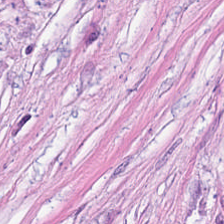Hematoxylin-and-eosin stained section — Q: What tissue is shown?
A: This is desmoplastic stroma.
